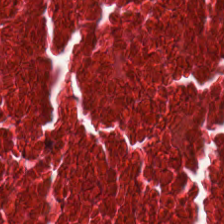FFPE · hematoxylin-and-eosin stained section.
Predominant tissue — necrotic debris.
